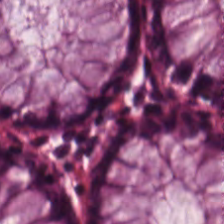Stain: hematoxylin-and-eosin stained section.
Preparation: FFPE.
Tissue class: non-neoplastic colon mucosa.
